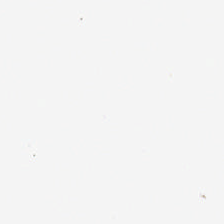Stain: H&E stain.
Preparation: formalin-fixed paraffin-embedded section.
Field content: no tissue.
